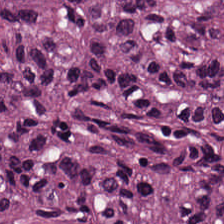H&E-stained tissue section. Finding — malignant epithelium.
